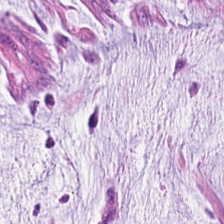H&E stain — Q: What is the predominant tissue type?
A: Mucus.
